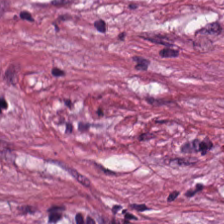Hematoxylin and eosin. Tissue class = tumor-associated stroma.
